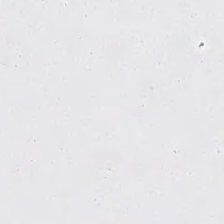Hematoxylin-and-eosin stained section. No tissue present; background only.
